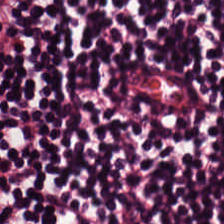H&E stain.
Lymphocyte aggregate.
